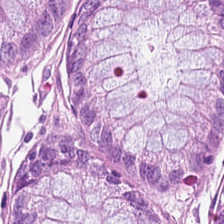Hematoxylin-and-eosin stained section.
Predominantly non-neoplastic colon mucosa.
